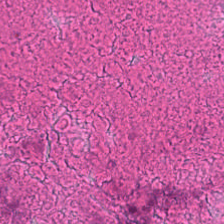Hematoxylin-and-eosin stained section. Necrotic debris.
